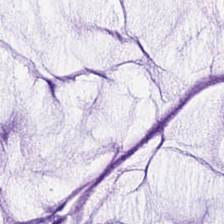Hematoxylin and eosin — Q: What is shown in this field?
A: It is extracellular mucin.
